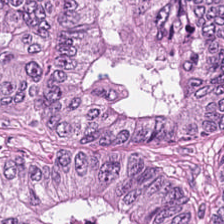Hematoxylin and eosin · formalin-fixed paraffin-embedded section · 0.5 µm per pixel. Tissue type = tumor epithelium.
